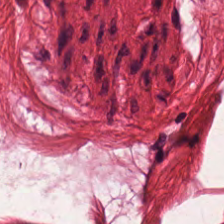Hematoxylin-and-eosin stained section.
Muscularis.
